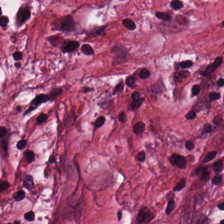Hematoxylin-and-eosin stained section. Tissue: cancer-associated stroma.
